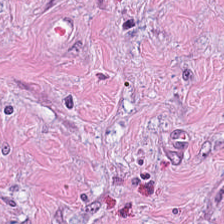Q: What tissue type is shown here?
A: The field shows tumor-associated stroma.
